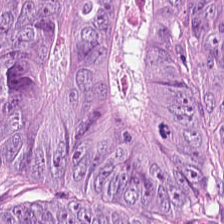224×224 px patch. Hematoxylin and eosin — Tissue: adenocarcinoma.
